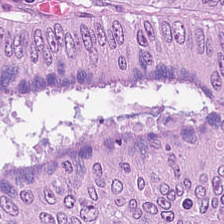H&E-stained tissue section; 224×224 pixel tile. Finding → adenocarcinoma.
